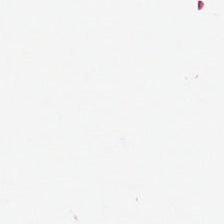Hematoxylin-and-eosin stained section · FFPE tissue section — Background — no tissue in this field.
